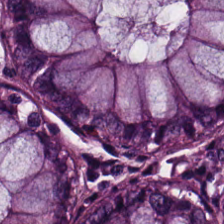20× equivalent magnification. H&E stain — Classification — normal colonic mucosa.
